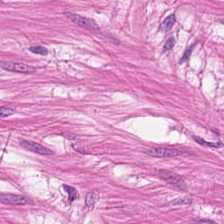H&E-stained tissue section.
The tissue class is muscularis.
